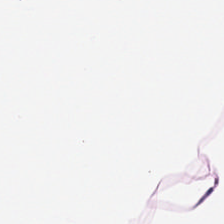Stain: H&E.
Predominant tissue: adipose.
